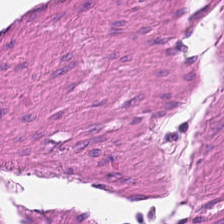Tissue class — muscularis.
